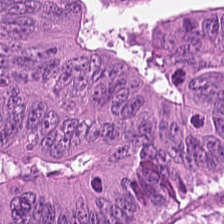H&E stain — This field is adenocarcinoma.
